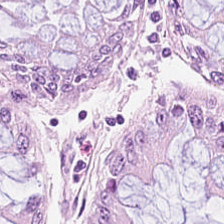H&E; FFPE tissue section — Q: What type of tissue is this?
A: Benign colonic mucosa.
